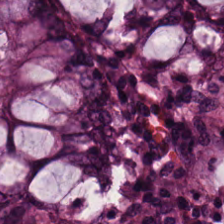Q: What does this patch show?
A: This is normal colonic mucosa.
